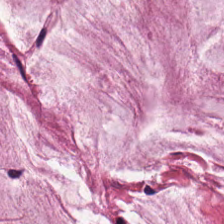224×224 px patch. H&E stain — Histology — mucus.
